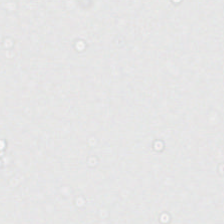FFPE. H&E-stained tissue section — Background (no tissue).
